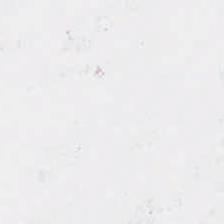Empty field — background.
